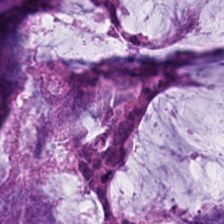H&E stain.
The tissue type is mucin.
